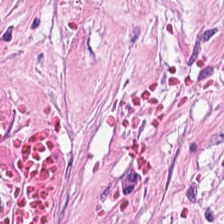Whole-slide-image patch · 0.5 µm/px · H&E-stained tissue section. Cancer-associated stroma.
